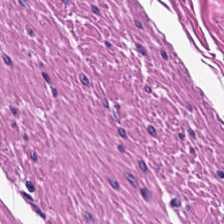Whole-slide-image patch. Hematoxylin-and-eosin stained section — This field is smooth muscle.
